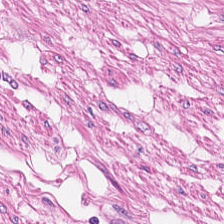Hematoxylin and eosin.
The tissue class is muscularis.
